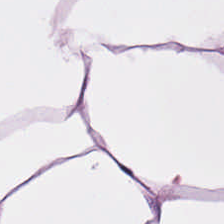Hematoxylin-and-eosin stained section. Fat tissue.
